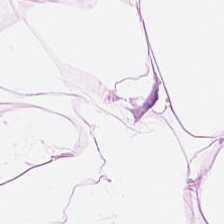Stain: hematoxylin and eosin.
Classification: adipose.
